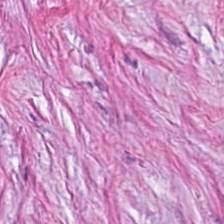H&E · whole-slide-image patch.
This field is desmoplastic stroma.
